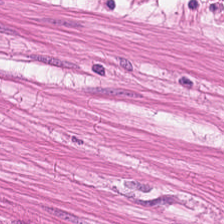Smooth muscle.
